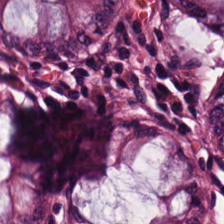FFPE tissue section · H&E stain. Histology — non-neoplastic colon mucosa.
